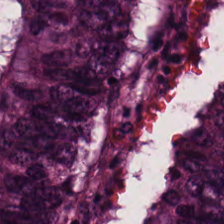H&E. Q: What type of tissue is this?
A: This is colorectal adenocarcinoma epithelium.
